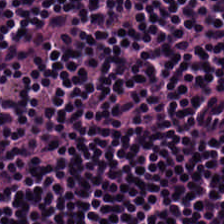FFPE tissue section; hematoxylin and eosin. {"tissue_type": "lymphoid infiltrate"}
